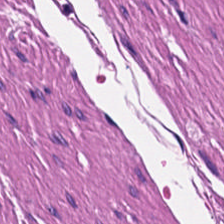Whole-slide-image patch. 224×224 pixel tile. Hematoxylin and eosin. Finding — smooth-muscle tissue.
